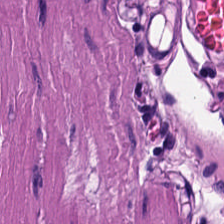H&E — Tissue — muscularis.
